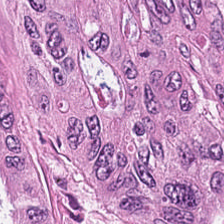H&E · 0.5 µm/px. {"tissue_type": "colorectal adenocarcinoma"}
